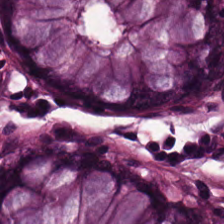Stain: H&E.
Tissue type: benign colonic mucosa.
